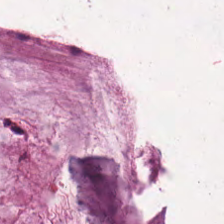Formalin-fixed paraffin-embedded section · H&E stain — Q: Classify this patch.
A: It is mucin.
